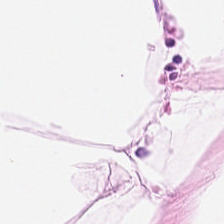Stain: hematoxylin and eosin.
Preparation: FFPE tissue section.
Acquisition: brightfield.
Tissue type: adipose tissue.
